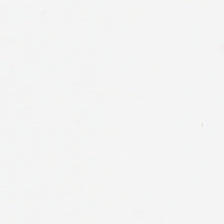H&E stain; 224×224 pixel tile.
Classification = no tissue.
